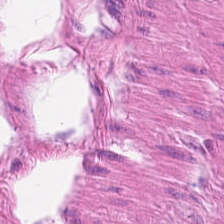224×224 px tile. Hematoxylin-and-eosin stained section — Impression — muscularis.
